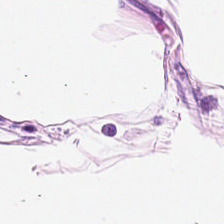Stain: H&E-stained tissue section.
Resolution: 0.5 µm/px.
Tissue class: adipose tissue.
